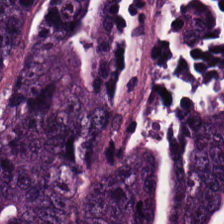H&E stain. Q: What is shown in this field?
A: Colorectal adenocarcinoma epithelium.
